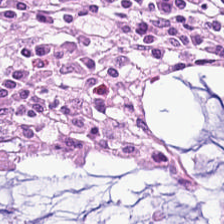H&E stain — Q: What is shown in this field?
A: Normal colonic mucosa.
